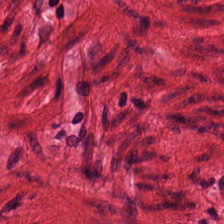H&E-stained tissue section. FFPE tissue section — The predominant tissue is smooth muscle.
